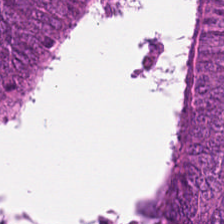20× equivalent magnification. H&E — The tissue class is colorectal adenocarcinoma epithelium.
